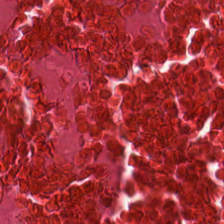Tissue = cellular debris.
